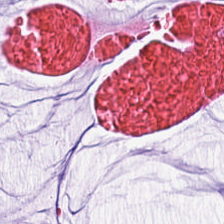Hematoxylin and eosin — The tissue is mucin.
